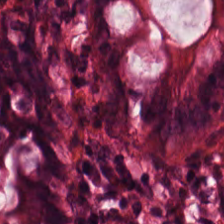224×224 px tile · H&E stain. Impression — non-neoplastic colon mucosa.
